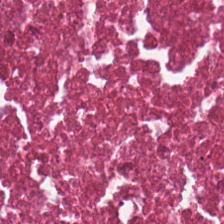H&E.
Histology → necrotic debris.
